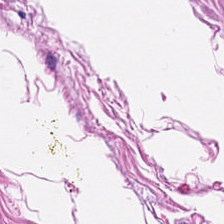Hematoxylin and eosin. The tissue class is smooth-muscle tissue.
